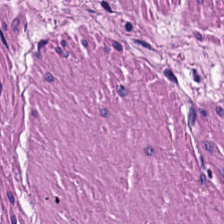{"tissue_type": "smooth-muscle tissue"}
